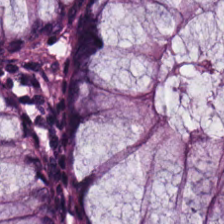Brightfield · 224×224 px patch · H&E-stained tissue section.
Tissue class — non-neoplastic colon mucosa.
